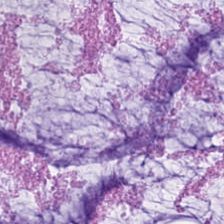Histology — extracellular mucin.
